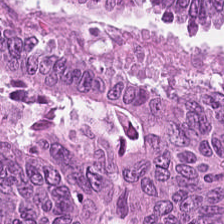Predominant tissue — tumor epithelium.
